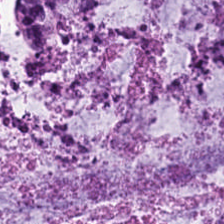H&E stain · brightfield microscopy. This patch shows extracellular mucin.
